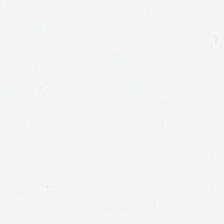Hematoxylin and eosin · 0.5 µm/px · 224×224 px patch. No tissue present; background only.
